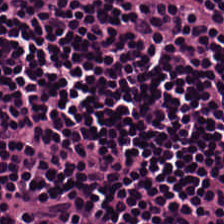FFPE tissue section · hematoxylin-and-eosin stained section.
The predominant tissue is lymphocytes.
